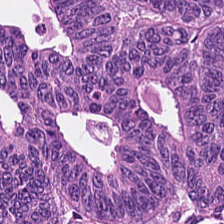224×224 px patch; H&E; formalin-fixed paraffin-embedded section.
Malignant epithelium.
